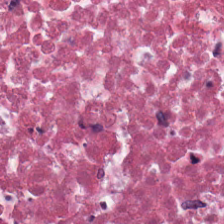H&E-stained tissue section.
Q: What is shown here?
A: This is debris.
